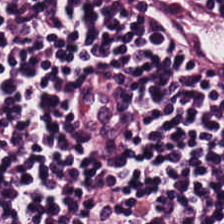Stain: H&E.
Resolution: 0.5 µm/px.
Tissue type: lymphocyte aggregate.
